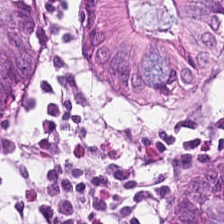Histology — non-neoplastic colon mucosa.
